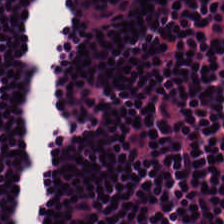Lymphoid infiltrate.
